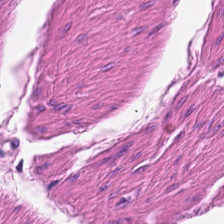H&E stain.
Tissue type — smooth-muscle tissue.
